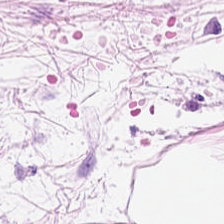Predominantly adipocytes.
